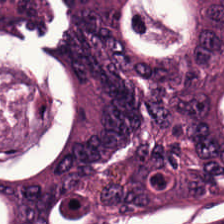H&E stain. Q: What type of tissue is this?
A: Adenocarcinoma.
